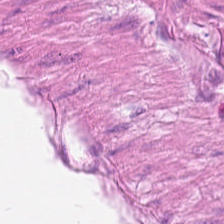H&E stain. Histology → smooth muscle.
